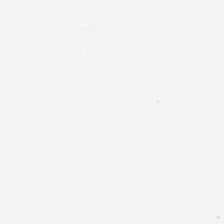Stain: H&E-stained tissue section.
Field content: background.
